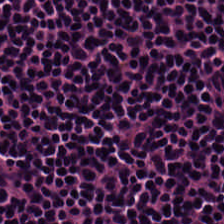H&E. Predominantly lymphocyte aggregate.
